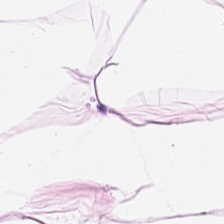This patch shows adipose tissue.
